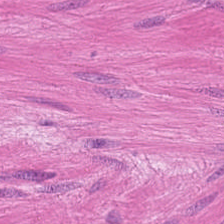H&E — Q: What tissue type is shown here?
A: It is muscularis.
